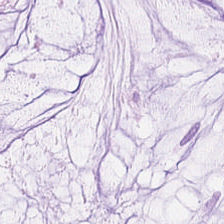20× equivalent magnification. H&E. Brightfield.
Predominant tissue = extracellular mucin.
